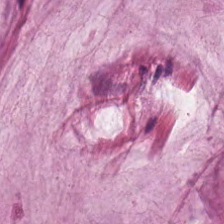H&E; formalin-fixed paraffin-embedded section.
The tissue here is mucus.
